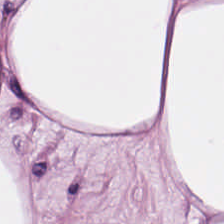Hematoxylin-and-eosin stained section. Formalin-fixed paraffin-embedded section.
Q: What does this patch show?
A: Adipose tissue.
